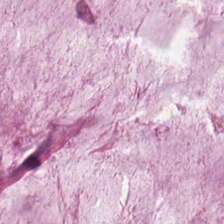H&E stain. Q: What is shown here?
A: Mucus.
